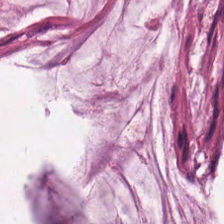FFPE; H&E; 224×224 px patch.
Mucin.
